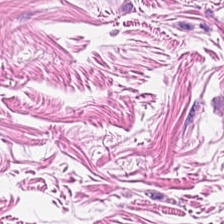Tissue class = smooth-muscle tissue.
